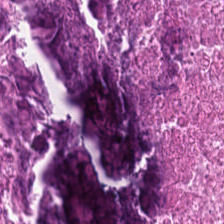H&E-stained tissue section. This patch shows cellular debris.
